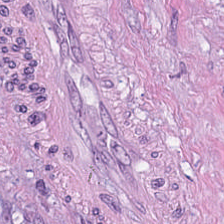WSI patch; hematoxylin and eosin; 224×224 px tile. The predominant tissue is tumor stroma.
